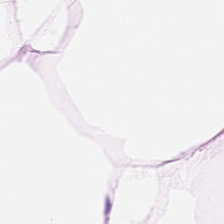Hematoxylin-and-eosin stained section.
Predominantly fat tissue.
